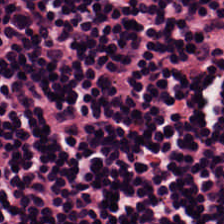Q: What is the predominant tissue type?
A: The field shows lymphocytic infiltrate.
